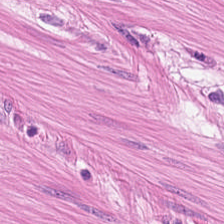H&E stain.
Q: Classify this patch.
A: It is smooth-muscle tissue.
